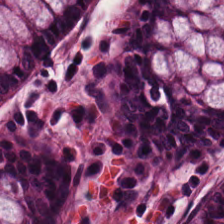H&E stain. FFPE. Whole-slide-image patch.
Q: What type of tissue is this?
A: It is normal colonic mucosa.
